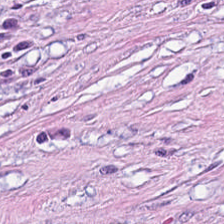FFPE; H&E stain; 0.5 µm/px — Showing tumor-associated stroma.
